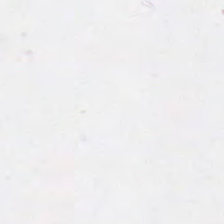H&E stain · 224×224 px patch. Field content: background.
